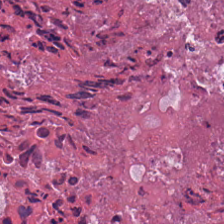H&E patch showing debris.
